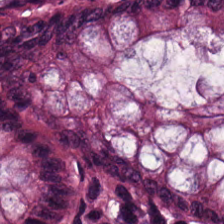Stain: hematoxylin and eosin.
Classification: normal colonic mucosa.
